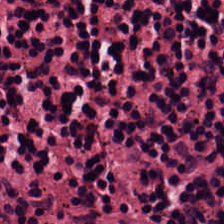Lymphocytic infiltrate.
